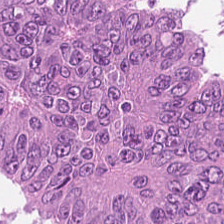224×224 pixel tile. H&E stain — Showing colorectal adenocarcinoma epithelium.
